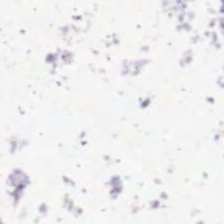Formalin-fixed paraffin-embedded section. Hematoxylin-and-eosin stained section — The classification is no tissue.
